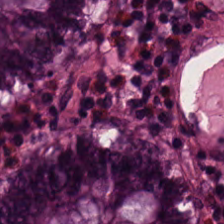Hematoxylin-and-eosin stained section.
This patch shows non-neoplastic colon mucosa.
